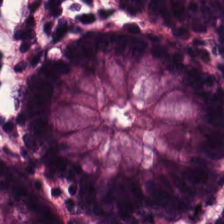Hematoxylin-and-eosin stained section.
Histology → benign colonic mucosa.
